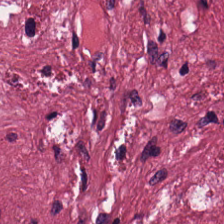H&E-stained tissue section. Predominantly tumor stroma.
